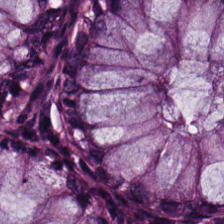Tissue = non-neoplastic colon mucosa.
